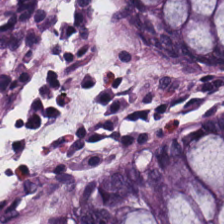Hematoxylin-and-eosin stained section.
Predominant tissue: normal colon mucosa.
